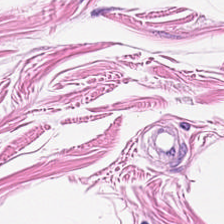H&E stain. This patch shows muscularis.
